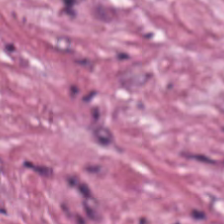Tissue type: desmoplastic stroma.
